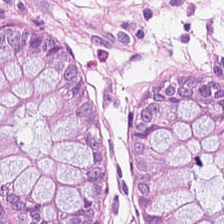FFPE; 224×224 px tile; H&E-stained tissue section.
Impression — non-neoplastic colon mucosa.
